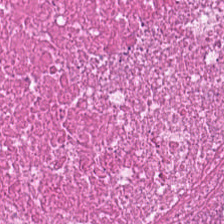H&E stain. {"tissue_type": "necrotic debris"}
